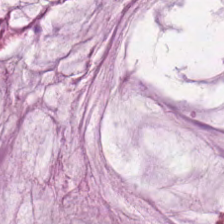{"tissue_type": "extracellular mucin"}
